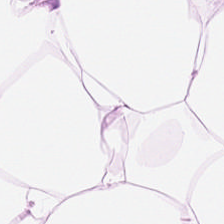The tissue type is adipose.
